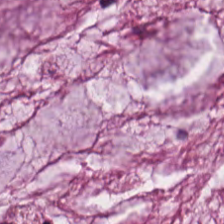Hematoxylin and eosin.
{"tissue_type": "mucus"}
